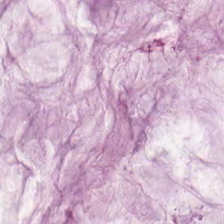H&E-stained tissue section; formalin-fixed paraffin-embedded section.
Predominant tissue = mucus.
